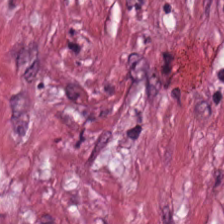This patch shows desmoplastic stroma.
